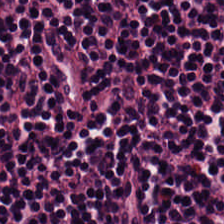This field is lymphocytes.
